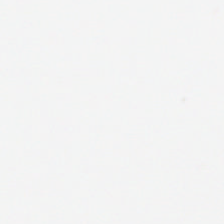Stain: hematoxylin-and-eosin stained section.
Field content: no tissue.
